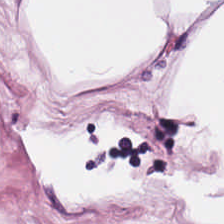Predominantly fat tissue.
